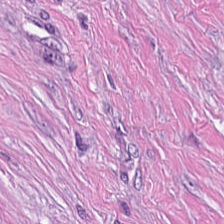H&E — cancer-associated stroma.
